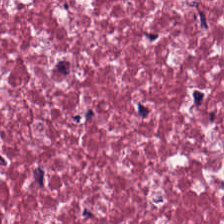Hematoxylin and eosin — Q: What is shown in this field?
A: This is cancer-associated stroma.
